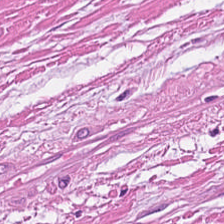H&E stain.
Showing smooth muscle.
